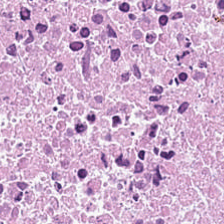H&E stain; whole-slide-image patch; 224×224 pixel tile — Impression — cellular debris.
